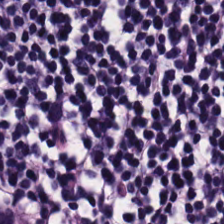Hematoxylin and eosin. The predominant tissue is lymphocytes.
